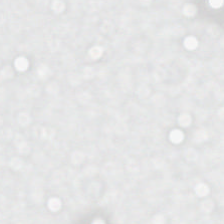Stain: H&E.
Field content: background.
